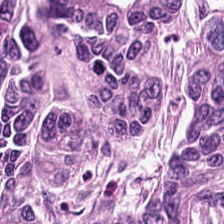H&E stain. Showing tumor epithelium.
